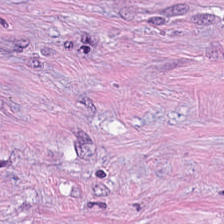Impression — desmoplastic stroma.
